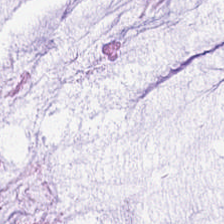0.5 µm per pixel; H&E-stained tissue section.
Classification = mucin.
